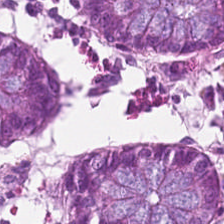Hematoxylin and eosin — This field is non-neoplastic colon mucosa.
